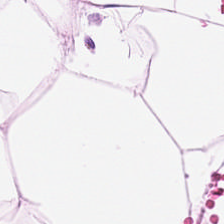Stain: H&E stain.
Acquisition: brightfield microscopy.
Resolution: 0.5 µm/px.
Tissue type: adipocytes.
